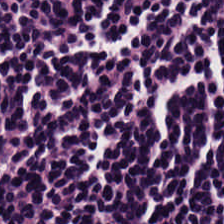H&E-stained tissue section — Q: What does this patch show?
A: This is lymphocytic infiltrate.
